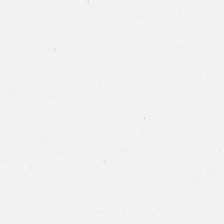0.5 microns per pixel; H&E-stained tissue section. Background — no tissue in this field.
